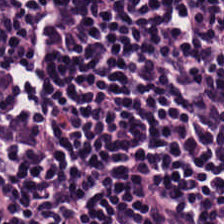Hematoxylin-and-eosin stained section. Q: What does this patch show?
A: It is lymphocytic infiltrate.
